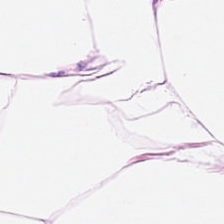Stain: hematoxylin and eosin.
Acquisition: brightfield microscopy.
Resolution: 0.5 microns per pixel.
Tissue: adipocytes.
